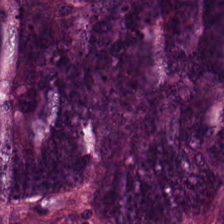Q: What type of tissue is this?
A: Malignant epithelium.
